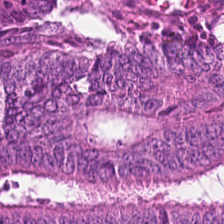H&E stain. 224×224 px patch — Predominantly tumor epithelium.
